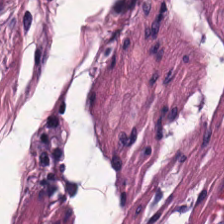Hematoxylin-and-eosin section: muscularis.
